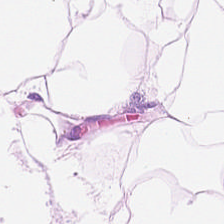Hematoxylin-and-eosin stained section.
The predominant tissue is adipose tissue.
